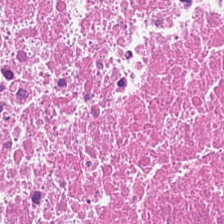This field is cellular debris.
